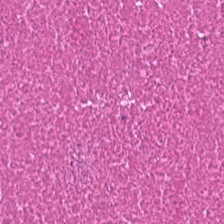Stain: hematoxylin and eosin.
Tissue: necrotic debris.
